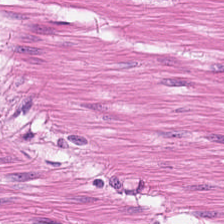224×224 pixel tile; hematoxylin and eosin.
Q: What does this patch show?
A: This is muscularis.
